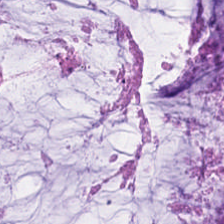0.5 µm/px · H&E-stained tissue section · brightfield microscopy.
Finding — mucin.
